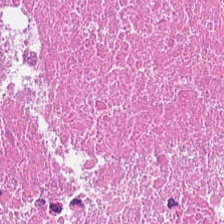Hematoxylin and eosin — Predominant tissue = debris.
